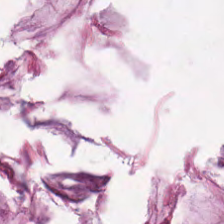Stain: hematoxylin-and-eosin stained section.
Classification: mucin.
